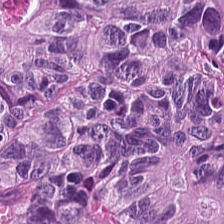Hematoxylin and eosin.
Q: What tissue type is shown here?
A: Colorectal adenocarcinoma epithelium.
